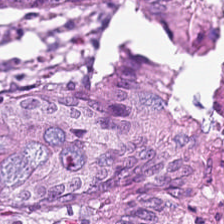H&E-stained tissue section.
Q: Identify the tissue.
A: Benign colonic mucosa.
